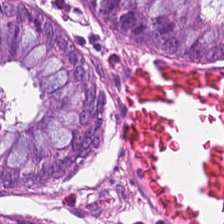H&E-stained tissue section.
The predominant tissue is non-neoplastic colon mucosa.
